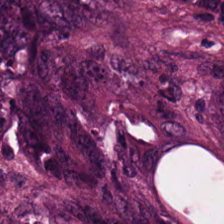224×224 px tile · 0.5 µm/px · H&E-stained tissue section. Q: What is shown here?
A: The field shows colorectal adenocarcinoma epithelium.
